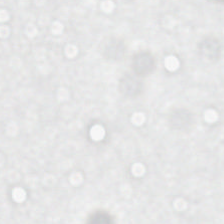H&E · 224×224 pixel tile. Classification: empty background.
